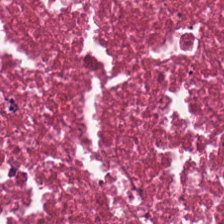H&E-stained tissue section — Q: What type of tissue is this?
A: Debris.
